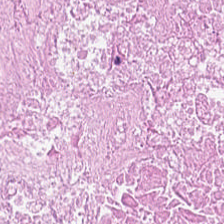Stain: hematoxylin-and-eosin stained section.
Resolution: 0.5 µm/px.
Tile size: 224×224 px patch.
Tissue: debris.
